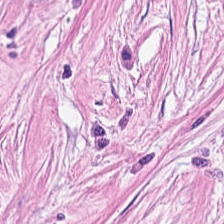H&E.
Showing cancer-associated stroma.
